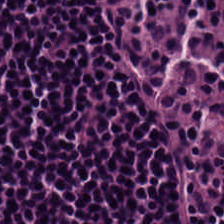{"tissue_type": "lymphoid infiltrate"}
